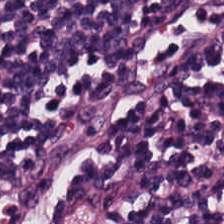The tissue here is lymphocyte aggregate.
